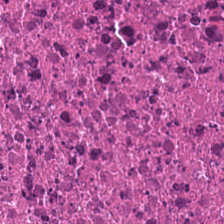Hematoxylin and eosin.
This field is cellular debris.
